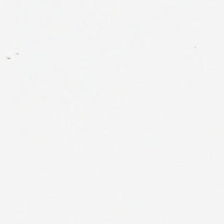FFPE. H&E stain — Finding — no tissue.
